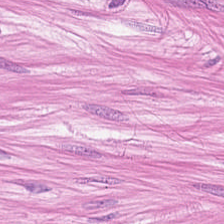Whole-slide-image patch. Hematoxylin-and-eosin stained section.
Predominantly smooth-muscle tissue.
